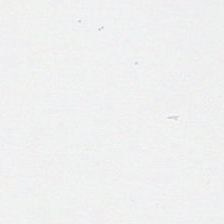Hematoxylin and eosin.
Impression — no tissue.
